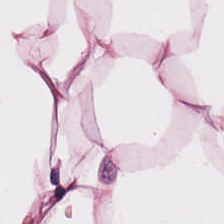H&E stain.
Showing adipose tissue.
